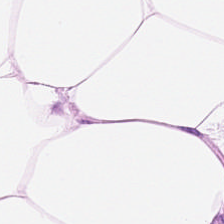Hematoxylin and eosin — Q: What tissue is shown?
A: This is fat tissue.
